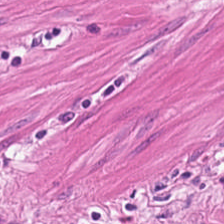Predominant tissue = smooth muscle.
